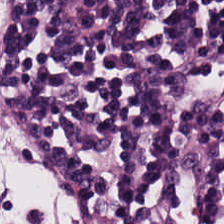H&E.
Predominant tissue: lymphocytic infiltrate.
